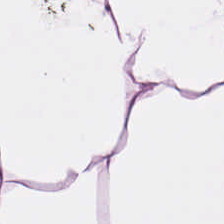Hematoxylin and eosin.
Q: Classify this patch.
A: The field shows adipose tissue.
